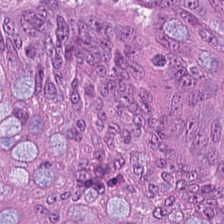H&E — Classification — malignant epithelium.
